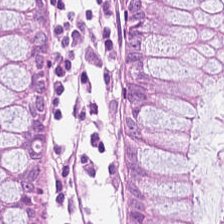224×224 px tile; hematoxylin-and-eosin stained section — Classification: normal colon mucosa.
